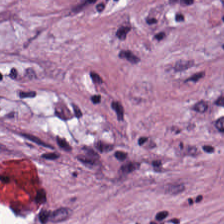Stain: hematoxylin and eosin.
Resolution: 0.5 µm per pixel.
Tissue class: cancer-associated stroma.
